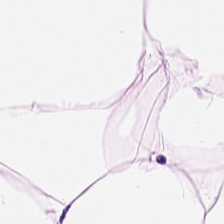Hematoxylin-and-eosin stained section. The tissue class is fat tissue.
